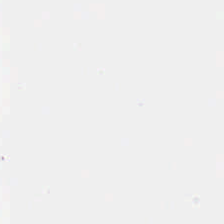Background.
